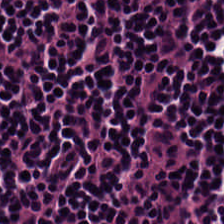20× equivalent magnification; H&E stain.
The tissue class is lymphoid infiltrate.
